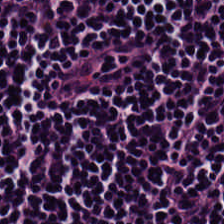Stain: hematoxylin-and-eosin stained section.
Tile size: 224×224 pixel tile.
Predominant tissue: lymphocytic infiltrate.
